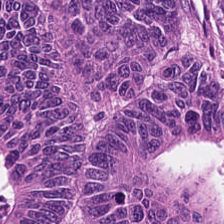H&E-stained tissue section. Histology → malignant epithelium.
